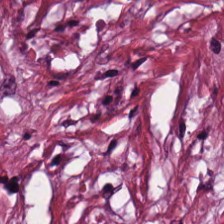0.5 microns per pixel · formalin-fixed paraffin-embedded section · H&E stain.
Finding — desmoplastic stroma.
